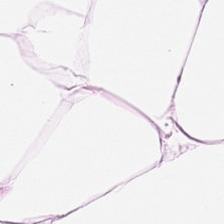Showing adipose.
